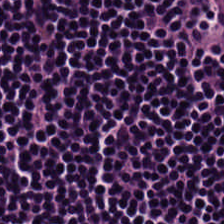Hematoxylin-and-eosin stained section. 224×224 pixel tile. Impression — lymphocytes.
